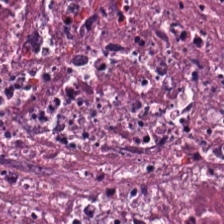Hematoxylin and eosin.
Q: What is shown in this field?
A: Debris.
